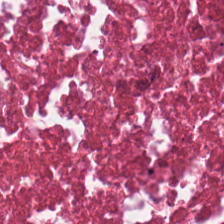Stain: H&E-stained tissue section.
Acquisition: WSI patch.
Predominant tissue: cellular debris.
